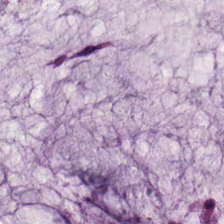224×224 px tile; hematoxylin-and-eosin stained section.
This patch shows mucin.
